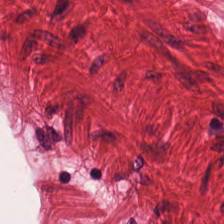H&E stain.
This patch shows muscularis.
